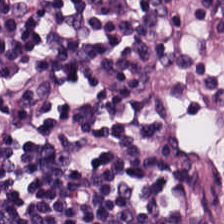WSI patch · hematoxylin and eosin.
Predominantly lymphocytic infiltrate.
